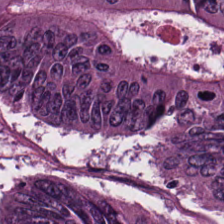WSI patch. H&E. 0.5 µm/px — Tissue class: colorectal adenocarcinoma epithelium.
